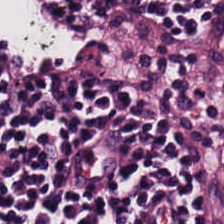H&E-stained tissue section — Q: What is shown here?
A: It is lymphocytic infiltrate.
